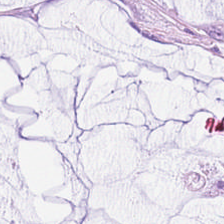224×224 pixel tile; hematoxylin-and-eosin stained section. Showing mucus.
